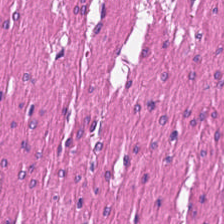Q: What is shown in this field?
A: It is muscularis.
